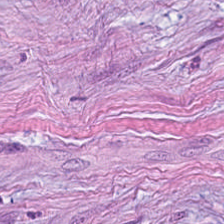Tumor-associated stroma.
